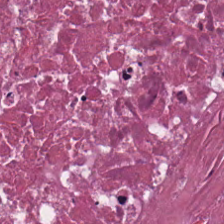Tissue class = debris.
